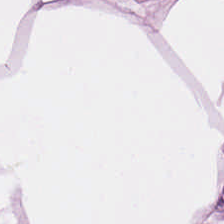Formalin-fixed paraffin-embedded section · hematoxylin and eosin.
Fat tissue.
